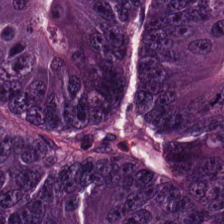H&E — malignant epithelium.
